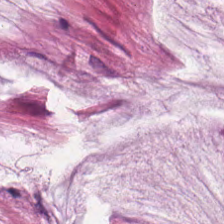The tissue is extracellular mucin.
